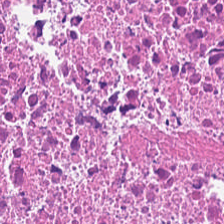Hematoxylin and eosin · 224×224 px tile. Classification: cellular debris.
